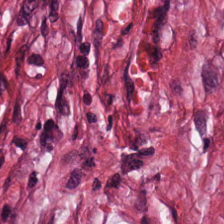H&E-stained tissue section. Histology — tumor stroma.
